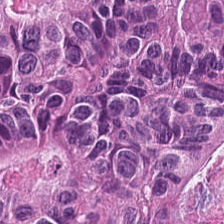Stain: hematoxylin-and-eosin stained section.
Acquisition: whole-slide-image patch.
Tissue: adenocarcinoma.
